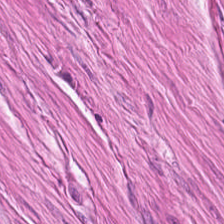H&E stain; 224×224 pixel tile; whole-slide-image patch.
Finding — muscularis.
